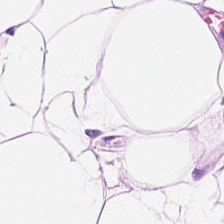Hematoxylin and eosin.
Q: What is shown in this field?
A: Fat tissue.
